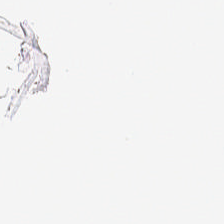Brightfield · H&E.
This patch shows no tissue.
